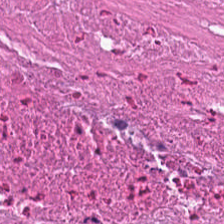Hematoxylin and eosin — Showing cellular debris.
